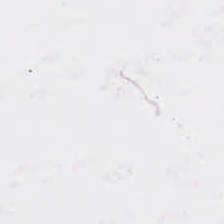224×224 pixel tile. Hematoxylin-and-eosin stained section. FFPE tissue section. This field is background (no tissue).
